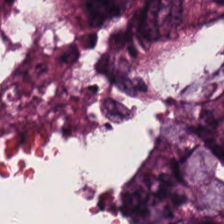H&E stain · 20× equivalent magnification. Classification: adenocarcinoma.
